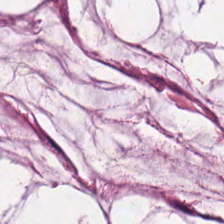Stain: H&E stain.
Tissue: mucus.
